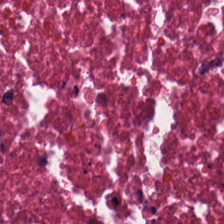H&E stain. Q: What tissue type is shown here?
A: It is cellular debris.
